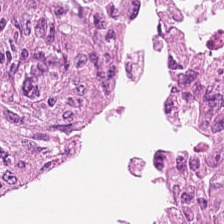H&E — Predominant tissue — adenocarcinoma.
